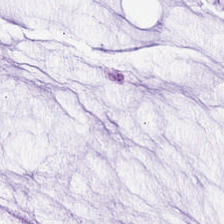WSI patch · 224×224 px tile · H&E-stained tissue section.
This patch shows mucin.
